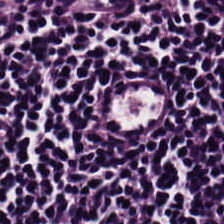H&E.
Lymphoid infiltrate.
